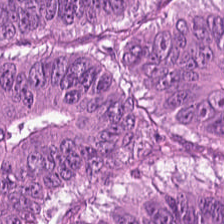H&E. Colorectal adenocarcinoma epithelium.
